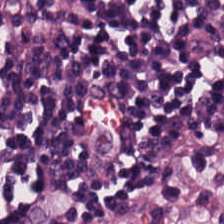Hematoxylin and eosin. The tissue is lymphoid infiltrate.
